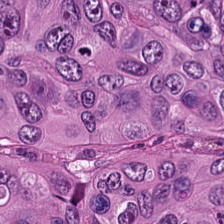Stain: H&E-stained tissue section.
Tile size: 224×224 px patch.
Tissue class: colorectal adenocarcinoma.
